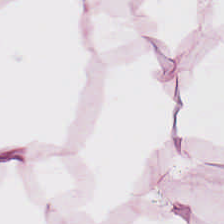H&E stain; FFPE.
Predominant tissue = adipose tissue.
